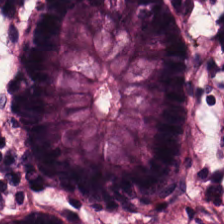H&E · FFPE — {"tissue_type": "non-neoplastic colon mucosa"}
